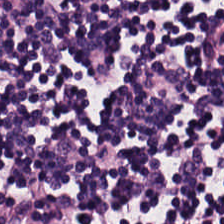H&E-stained tissue section showing lymphocyte aggregate.
